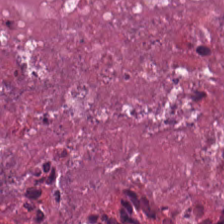H&E stain. This field is necrotic debris.
